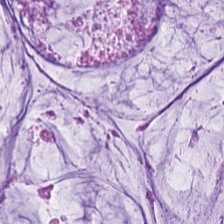Classification — mucus.
